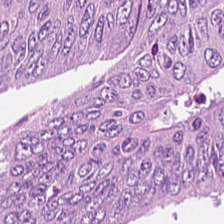The predominant tissue is malignant epithelium.
